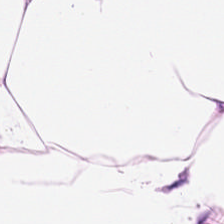Hematoxylin-and-eosin stained section — This patch shows adipose.
